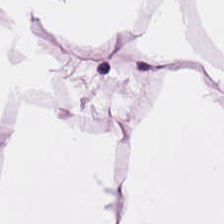FFPE tissue section · hematoxylin-and-eosin stained section — The predominant tissue is adipocytes.
